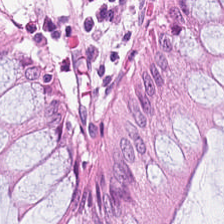WSI patch · H&E.
Tissue type: benign colonic mucosa.
